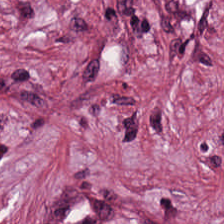224×224 px tile; H&E stain.
Predominantly cancer-associated stroma.
